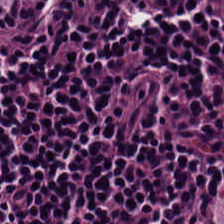224×224 px tile · H&E stain.
The predominant tissue is lymphocyte aggregate.
